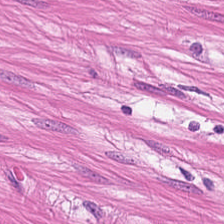H&E · 224×224 px patch — {"tissue_type": "smooth-muscle tissue"}
